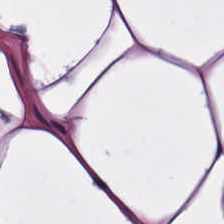Predominantly fat tissue.
